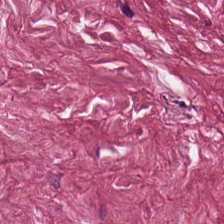H&E-stained tissue section. Q: What is shown in this field?
A: The field shows desmoplastic stroma.
